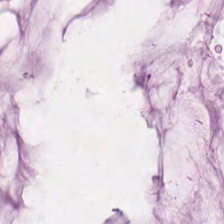H&E-stained tissue section · whole-slide-image patch · FFPE tissue section.
Predominant tissue: extracellular mucin.
